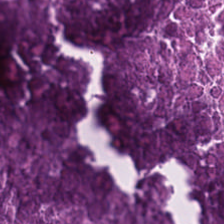Stain: hematoxylin and eosin.
Tissue class: debris.
